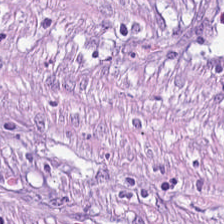224×224 px patch; H&E stain — Histology → tumor-associated stroma.
